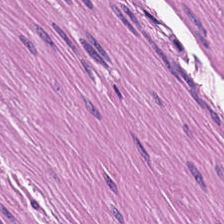Q: Classify this patch.
A: Muscularis.
